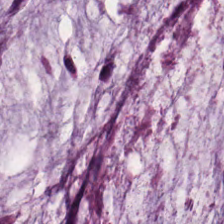224×224 px tile. Hematoxylin and eosin. Brightfield — Q: What does this patch show?
A: Extracellular mucin.
